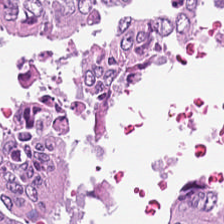Formalin-fixed paraffin-embedded section · 224×224 pixel tile · hematoxylin and eosin.
Tissue: malignant epithelium.
